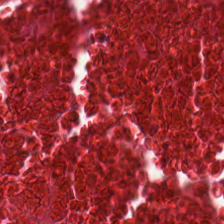Formalin-fixed paraffin-embedded section. H&E. 224×224 px tile. Showing necrotic debris.
